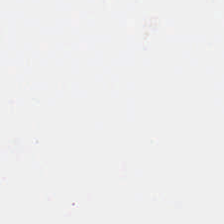H&E stain.
{"content": "background"}
